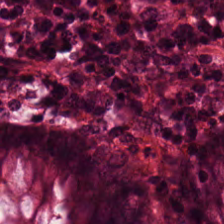H&E patch showing non-neoplastic colon mucosa.
